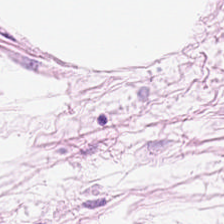H&E · FFPE tissue section · 0.5 microns per pixel.
Finding — adipose tissue.
